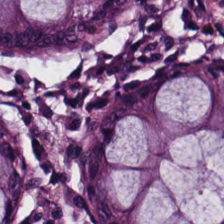FFPE tissue section · H&E stain — Q: What type of tissue is this?
A: The field shows non-neoplastic colon mucosa.
